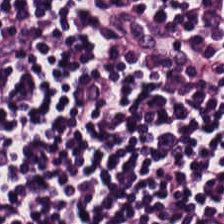Stain: H&E stain.
Resolution: 0.5 µm/px.
Tissue class: lymphoid infiltrate.
